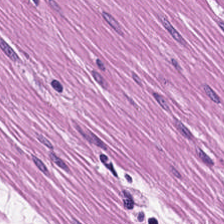Stain: H&E-stained tissue section.
Tissue: smooth muscle.
